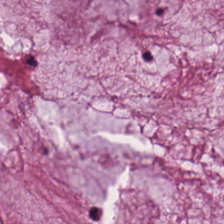Hematoxylin-and-eosin stained section · 224×224 px patch — Showing mucin.
